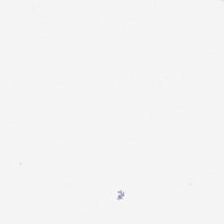Hematoxylin-and-eosin stained section · brightfield. Background.
